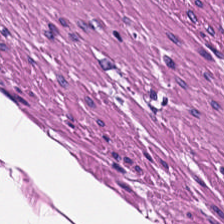H&E · FFPE · 224×224 px tile. Q: What does this patch show?
A: Smooth muscle.
